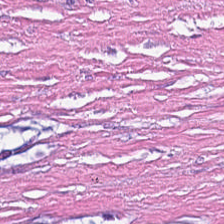Hematoxylin-and-eosin stained section — Showing tumor stroma.
